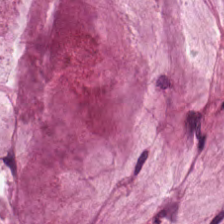Tissue type — mucin.
